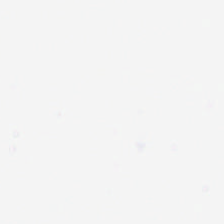Formalin-fixed paraffin-embedded section · hematoxylin-and-eosin stained section · brightfield — Empty background.
